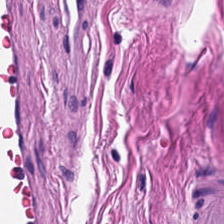H&E patch showing smooth muscle.
